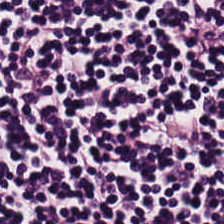H&E — lymphocytic infiltrate.
